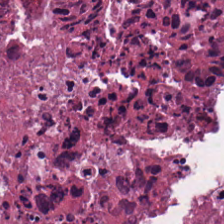Stain: H&E stain.
Resolution: 0.5 µm/px.
Preparation: FFPE.
Classification: cellular debris.
